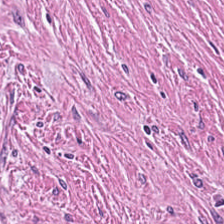WSI patch; 224×224 px patch; hematoxylin-and-eosin stained section.
Tissue type: tumor stroma.
